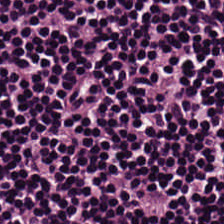H&E. Brightfield. FFPE tissue section. Tissue: lymphoid infiltrate.
